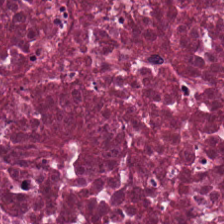H&E-stained tissue section showing cellular debris.
